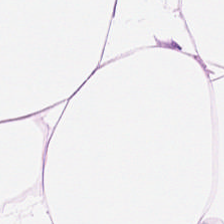Hematoxylin-and-eosin stained section. Histology → fat tissue.
